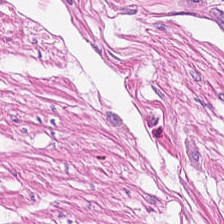Tissue class — smooth muscle.
